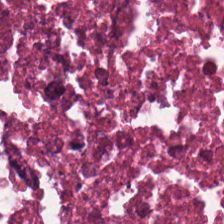Stain: hematoxylin-and-eosin stained section.
Tissue: necrotic debris.
